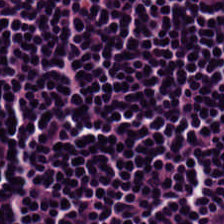H&E-stained tissue section — Lymphocytic infiltrate.
